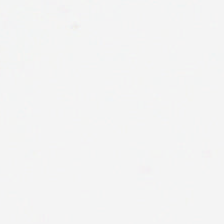H&E stain · formalin-fixed paraffin-embedded section. This patch shows background (no tissue).
